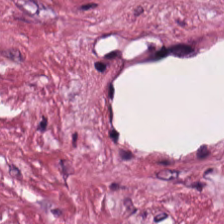This patch shows tumor stroma.
